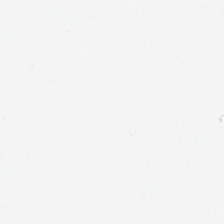Hematoxylin and eosin — Finding → background.
